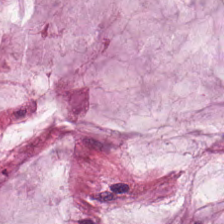H&E stain — The predominant tissue is mucin.
